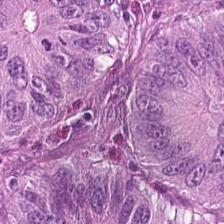20× equivalent magnification · H&E-stained tissue section.
Predominantly malignant epithelium.
